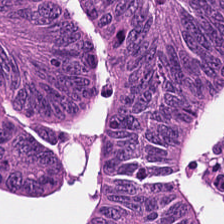20× equivalent magnification; hematoxylin-and-eosin stained section. The tissue here is adenocarcinoma.
